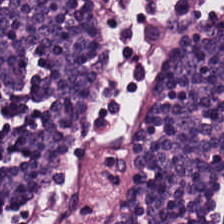Brightfield microscopy; 224×224 pixel tile; hematoxylin-and-eosin stained section. Predominantly lymphocytic infiltrate.
